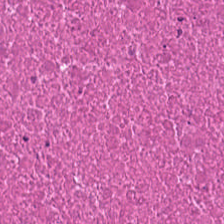Tissue class = cellular debris.
